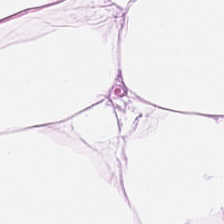Hematoxylin-and-eosin stained section — Histology → adipocytes.
